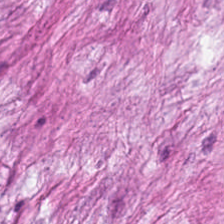Stain: H&E stain.
Acquisition: brightfield microscopy.
Classification: tumor stroma.
